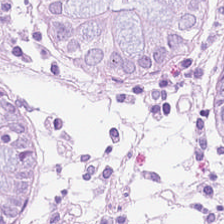H&E-stained tissue section. The predominant tissue is non-neoplastic colon mucosa.
